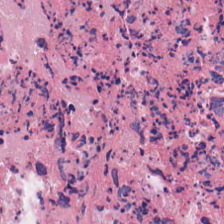FFPE; hematoxylin and eosin — The tissue here is cellular debris.
